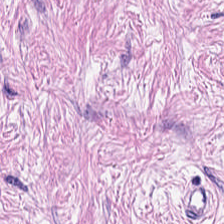Stain: hematoxylin and eosin.
Acquisition: brightfield.
Classification: tumor stroma.
